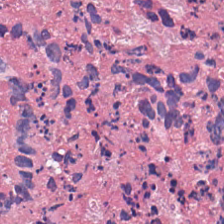H&E stain — Histology → necrotic debris.
